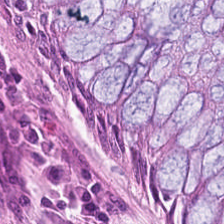H&E. Formalin-fixed paraffin-embedded section. Predominant tissue: non-neoplastic colon mucosa.
